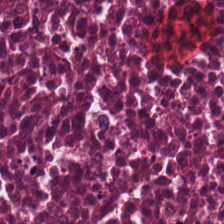Hematoxylin-and-eosin stained section — Q: What does this patch show?
A: Necrotic debris.
